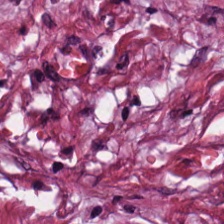H&E-stained tissue section · 224×224 px tile · brightfield microscopy. Desmoplastic stroma.
